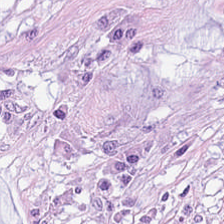H&E — Tissue class — mucus.
